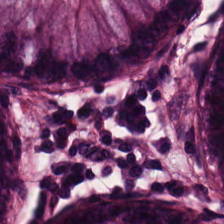H&E — Q: What tissue is shown?
A: It is non-neoplastic colon mucosa.
